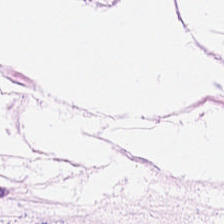H&E stain. This field is fat tissue.
